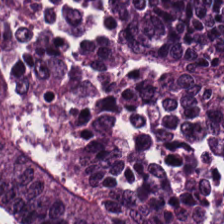H&E — Predominantly colorectal adenocarcinoma.
